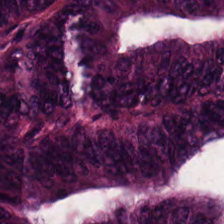224×224 px patch. H&E-stained tissue section — Predominant tissue — adenocarcinoma.
